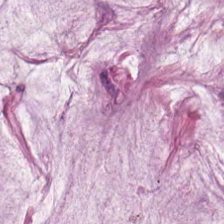Stain: H&E stain.
Acquisition: brightfield microscopy.
Tissue: extracellular mucin.
